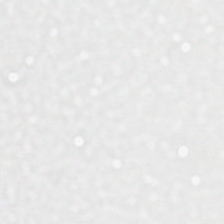20× equivalent magnification. WSI patch. H&E stain. Classification = background.
